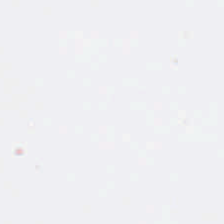Hematoxylin and eosin. Whole-slide-image patch.
This field is background (no tissue).
